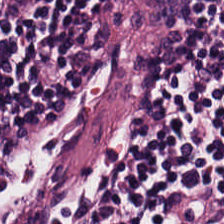224×224 px tile; hematoxylin-and-eosin stained section. Q: Identify the tissue.
A: The field shows lymphoid infiltrate.
